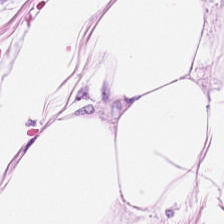H&E.
Showing adipocytes.
